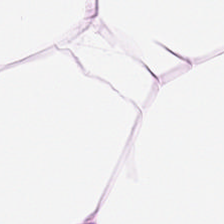H&E stain. Brightfield. Q: What does this patch show?
A: Adipocytes.
